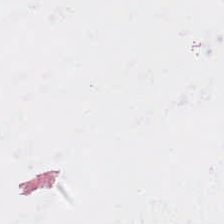Hematoxylin-and-eosin stained section.
Background (no tissue).
